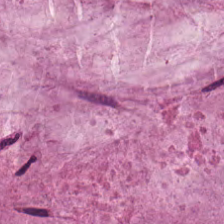Formalin-fixed paraffin-embedded section. Whole-slide-image patch. H&E.
Q: What tissue is shown?
A: Extracellular mucin.
